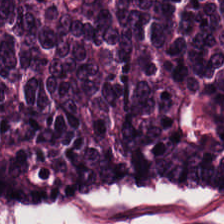224×224 px patch. H&E-stained tissue section. Classification: colorectal adenocarcinoma epithelium.
